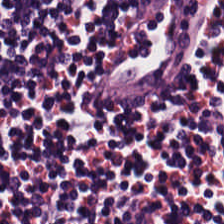H&E; formalin-fixed paraffin-embedded section; 224×224 px patch.
The classification is lymphocytic infiltrate.
